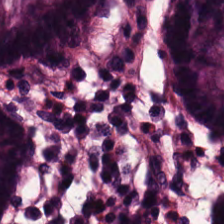Formalin-fixed paraffin-embedded section · H&E-stained tissue section · WSI patch. This field is normal colon mucosa.
